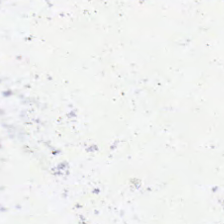Hematoxylin-and-eosin stained section.
Q: What does this patch show?
A: The field shows background.
